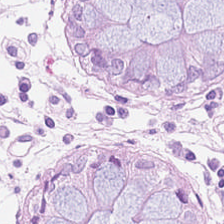H&E stain; brightfield — The tissue here is normal colon mucosa.
